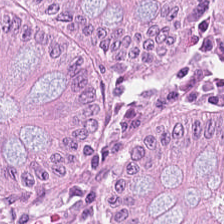Brightfield microscopy. 0.5 microns per pixel. H&E stain.
The classification is normal colonic mucosa.
